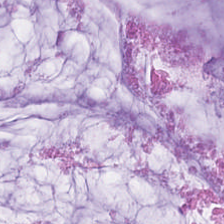Hematoxylin-and-eosin stained section.
Tissue class — mucin.
